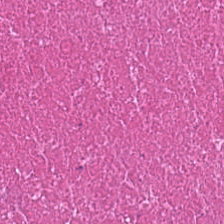H&E-stained tissue section; FFPE tissue section. The tissue here is debris.
